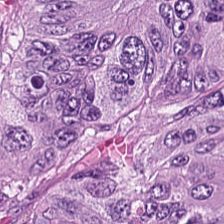20× equivalent magnification · H&E · brightfield.
The tissue type is colorectal adenocarcinoma.
